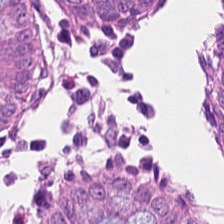H&E. The predominant tissue is normal colonic mucosa.
